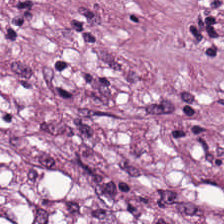Hematoxylin-and-eosin stained section. 224×224 pixel tile. Finding → tumor stroma.
